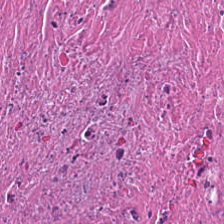Hematoxylin-and-eosin stained section — Q: What is shown in this field?
A: This is debris.
